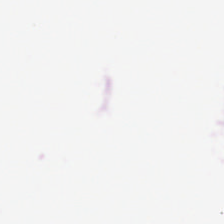H&E. 224×224 px tile — The content is background (no tissue).
